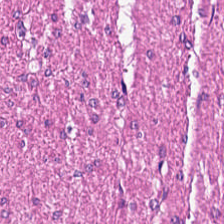Hematoxylin-and-eosin stained section; 224×224 px patch; FFPE tissue section. The tissue class is smooth muscle.
